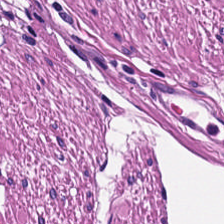Hematoxylin-and-eosin stained section. Tissue: smooth-muscle tissue.
